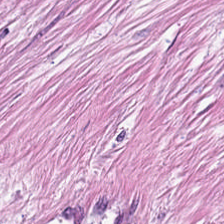H&E stain. Showing tumor stroma.
